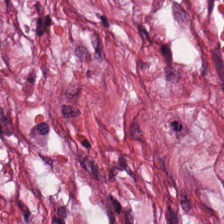Stain: H&E.
Preparation: FFPE.
Tissue type: desmoplastic stroma.
